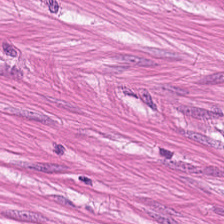The predominant tissue is muscularis.
